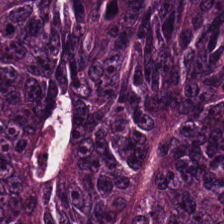H&E.
Histology — adenocarcinoma.
